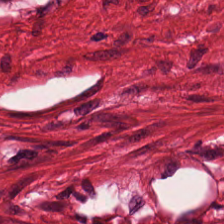FFPE. Hematoxylin and eosin.
The predominant tissue is smooth muscle.
